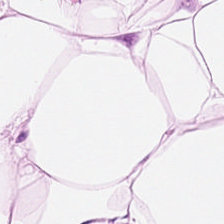This field is fat tissue.
